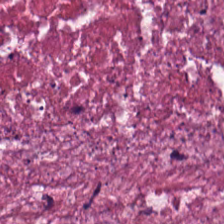H&E. Brightfield microscopy. 0.5 microns per pixel — Predominant tissue: necrotic debris.
